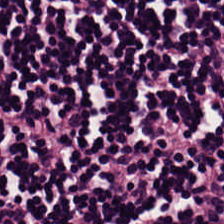H&E-stained tissue section. This field is lymphocytes.
